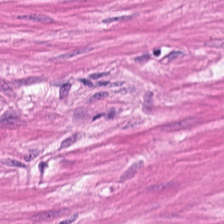The classification is muscularis.
